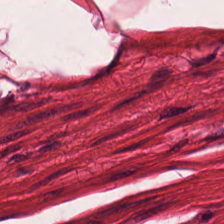H&E stain; 224×224 px patch; brightfield microscopy — This field is smooth muscle.
